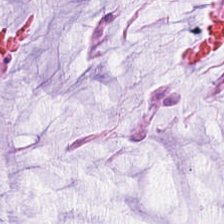224×224 pixel tile · H&E stain — Q: Identify the tissue.
A: Mucin.
